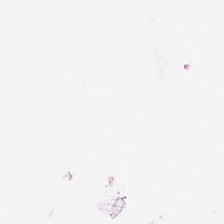224×224 px patch. Hematoxylin-and-eosin stained section.
Background (no tissue).
